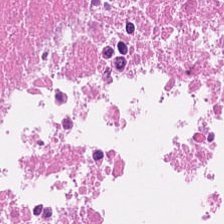H&E stain; formalin-fixed paraffin-embedded section; brightfield microscopy — Cellular debris.
